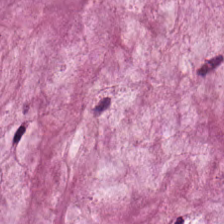Impression — mucin.
